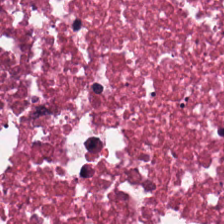Tissue type = necrotic debris.
